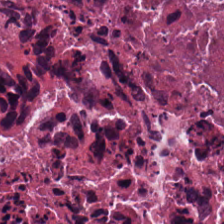Stain: H&E stain.
Preparation: formalin-fixed paraffin-embedded section.
Tile size: 224×224 px tile.
Predominant tissue: necrotic debris.
